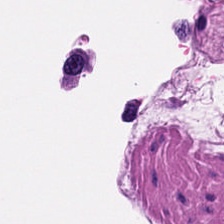Stain: hematoxylin-and-eosin stained section.
Acquisition: brightfield microscopy.
Classification: smooth-muscle tissue.
